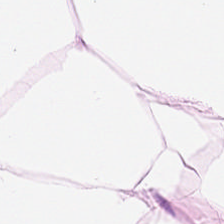Hematoxylin and eosin — Q: What is shown here?
A: This is fat tissue.
